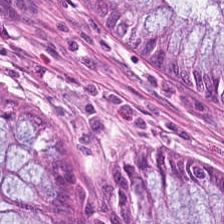H&E-stained tissue section — Classification — normal colonic mucosa.
